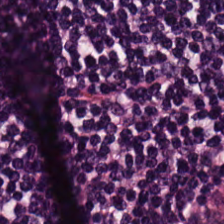Tissue class — lymphocyte aggregate.
